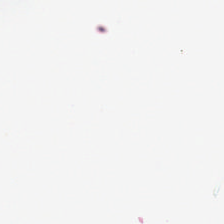Stain: hematoxylin and eosin.
Classification: background.
